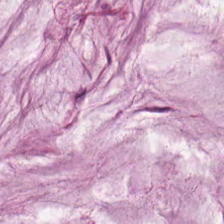Q: What is shown here?
A: It is extracellular mucin.
